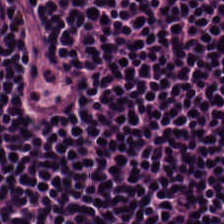Stain: hematoxylin and eosin.
Predominant tissue: lymphocytic infiltrate.
